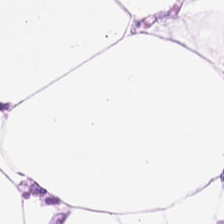H&E stain. This field is fat tissue.
